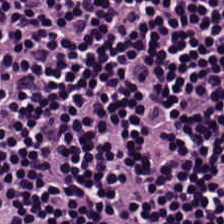Stain: hematoxylin-and-eosin stained section.
Resolution: 0.5 µm/px.
Tile size: 224×224 px tile.
Predominant tissue: lymphocytic infiltrate.
